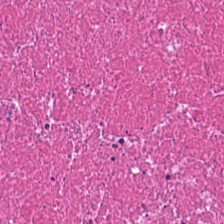Stain: hematoxylin and eosin.
Resolution: 0.5 µm per pixel.
Acquisition: whole-slide-image patch.
Classification: cellular debris.
